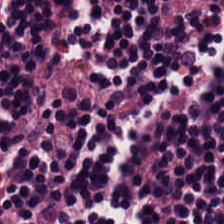224×224 pixel tile; hematoxylin-and-eosin stained section — Predominant tissue: lymphocytic infiltrate.
